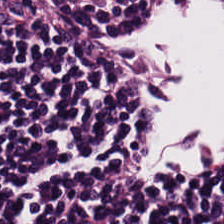Hematoxylin-and-eosin stained section. The predominant tissue is lymphoid infiltrate.
